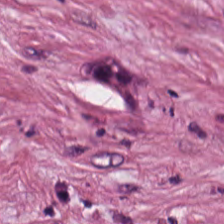The tissue class is tumor-associated stroma.
